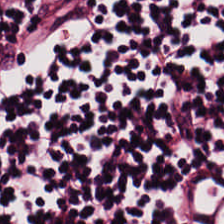Hematoxylin-and-eosin stained section.
Tissue class: lymphocyte aggregate.
